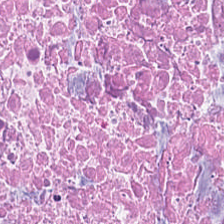Predominant tissue: necrotic debris.
